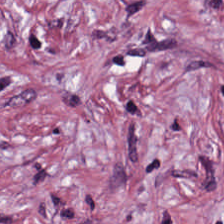H&E-stained tissue section.
This field is tumor-associated stroma.
